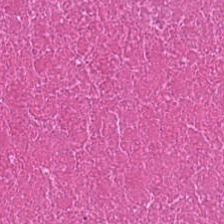224×224 px patch · 0.5 µm/px · hematoxylin and eosin — Q: What does this patch show?
A: It is debris.
